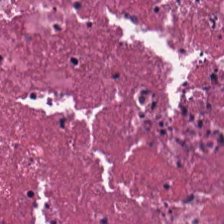H&E stain — Tissue type = debris.
